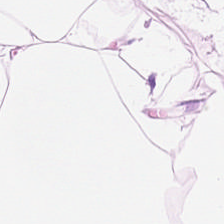H&E stain. This patch shows fat tissue.
